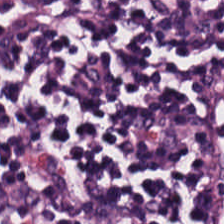Hematoxylin-and-eosin stained section · 224×224 px tile. Finding → lymphocytic infiltrate.
